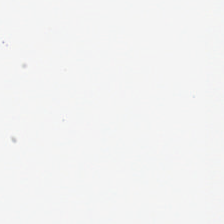Formalin-fixed paraffin-embedded section; H&E stain.
Q: What is shown in this field?
A: No tissue.
